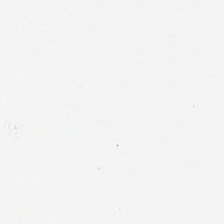Whole-slide-image patch; H&E stain.
Background.
